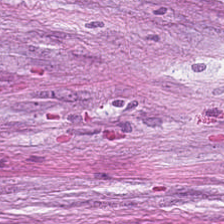H&E-stained tissue section · formalin-fixed paraffin-embedded section.
{"tissue_type": "cancer-associated stroma"}
